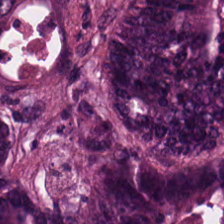H&E-stained section; the field shows tumor epithelium.
